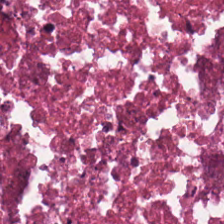Hematoxylin-and-eosin stained section; brightfield microscopy.
Finding → necrotic debris.
